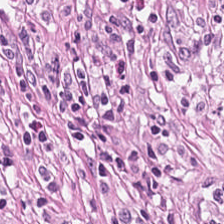H&E — The tissue is tumor stroma.
